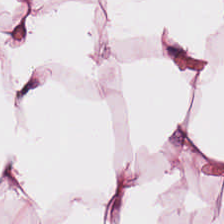Hematoxylin-and-eosin stained section — Tissue type — adipose.
